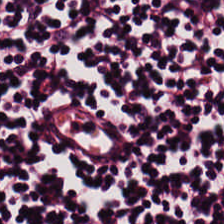H&E stain · 224×224 pixel tile · 0.5 microns per pixel — Finding — lymphocyte aggregate.
